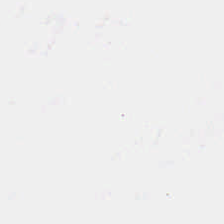H&E stain · 224×224 px patch · 0.5 microns per pixel.
Background — no tissue in this field.
